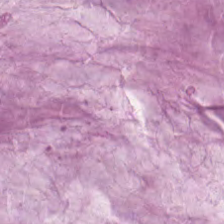Hematoxylin and eosin. Q: Identify the tissue.
A: This is extracellular mucin.
